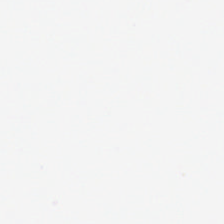H&E stain. Q: What is shown here?
A: This is no tissue.
